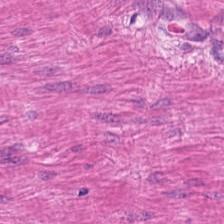Predominantly muscularis.
